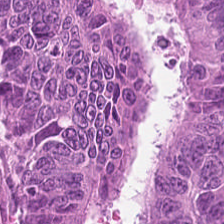H&E-stained tissue section · FFPE.
The predominant tissue is colorectal adenocarcinoma.
